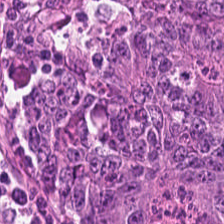H&E-stained tissue section · 224×224 px tile. Predominant tissue — colorectal adenocarcinoma.
